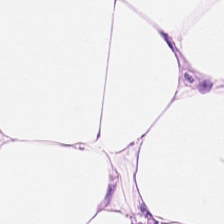H&E-stained tissue section; brightfield.
Q: What tissue type is shown here?
A: The field shows adipocytes.
